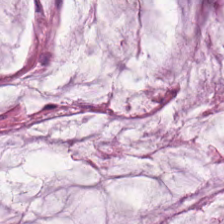Hematoxylin-and-eosin stained section. This patch shows extracellular mucin.
